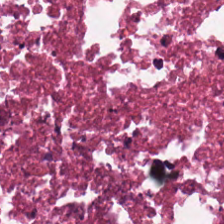FFPE; 224×224 px tile; H&E stain.
Classification — necrotic debris.
